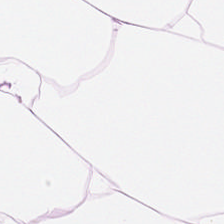224×224 px tile; H&E.
Q: What is the predominant tissue type?
A: This is fat tissue.
